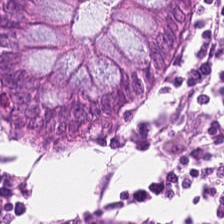The tissue here is normal colonic mucosa.
